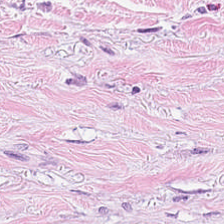224×224 px tile. Brightfield microscopy. H&E. This field is tumor stroma.
